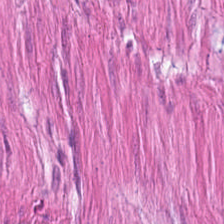Hematoxylin-and-eosin stained section · FFPE.
Showing smooth muscle.
